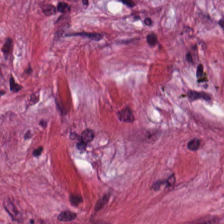Hematoxylin and eosin. 224×224 px tile.
The tissue here is tumor-associated stroma.
